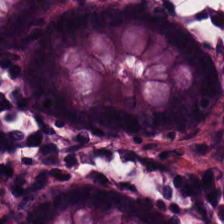H&E-stained tissue section. This patch shows benign colonic mucosa.
